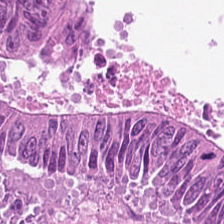Hematoxylin-and-eosin stained section. Tissue: malignant epithelium.
